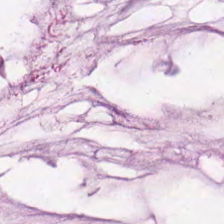The classification is mucus.
